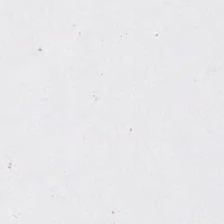H&E.
Empty background.
